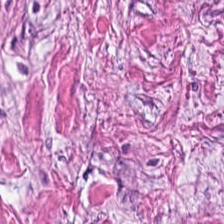Stain: H&E.
Tissue: desmoplastic stroma.
